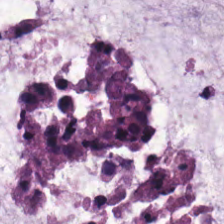Hematoxylin and eosin. Mucin.
